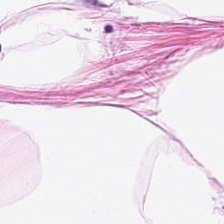Stain: hematoxylin-and-eosin stained section.
Classification: fat tissue.
